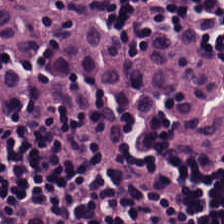Hematoxylin and eosin — Lymphoid infiltrate.
